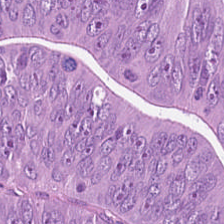Hematoxylin-and-eosin stained section — Predominantly adenocarcinoma.
